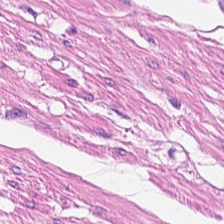FFPE. Hematoxylin and eosin — This field is smooth-muscle tissue.
